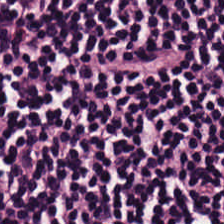The tissue here is lymphocytic infiltrate.
